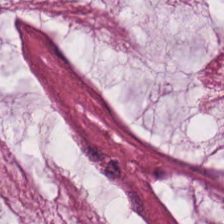Hematoxylin and eosin — The tissue is mucus.
